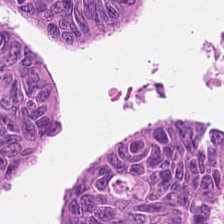H&E-stained tissue section · FFPE. Tissue — adenocarcinoma.
